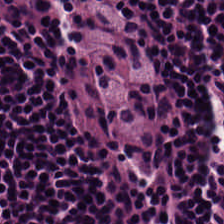{"tissue_type": "lymphoid infiltrate"}
